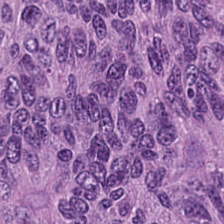Hematoxylin and eosin — The tissue here is malignant epithelium.
